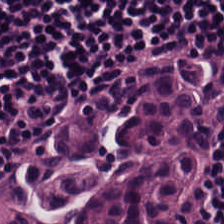H&E-stained tissue section. Finding — lymphocyte aggregate.
